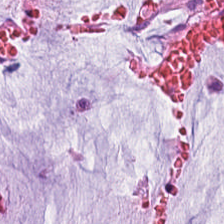WSI patch; H&E stain; 0.5 microns per pixel.
This field is extracellular mucin.
